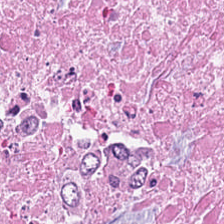Hematoxylin-and-eosin stained section. This patch shows cellular debris.
